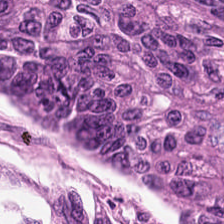Stain: H&E.
Tissue: adenocarcinoma.
